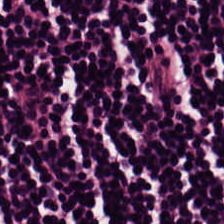0.5 µm/px; H&E stain.
Finding → lymphocytic infiltrate.
